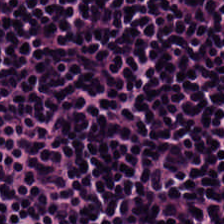Hematoxylin and eosin — Predominantly lymphocyte aggregate.
